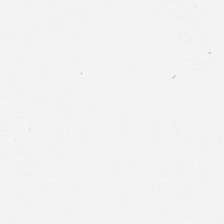Histology → background (no tissue).
